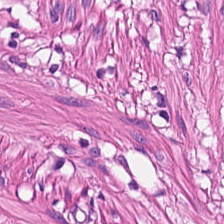0.5 µm/px · FFPE · H&E.
{"tissue_type": "smooth-muscle tissue"}
